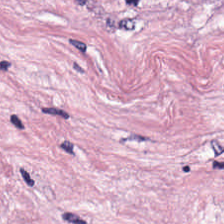Hematoxylin and eosin. FFPE. 224×224 px tile.
Tissue class = tumor stroma.
